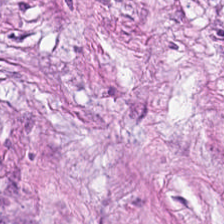H&E-stained tissue section · brightfield. Cancer-associated stroma.
